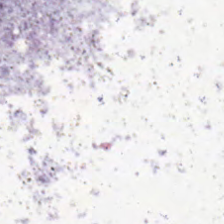Histology — no tissue.
